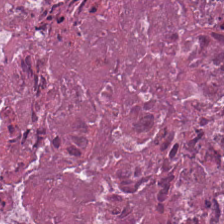224×224 pixel tile. H&E — Q: What is shown here?
A: It is cellular debris.
